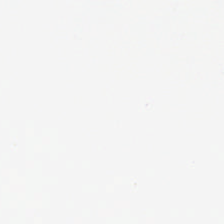H&E stain.
Q: What is shown here?
A: Empty background.
